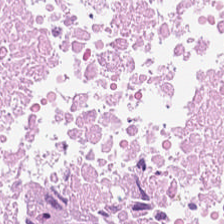Formalin-fixed paraffin-embedded section · WSI patch · hematoxylin-and-eosin stained section.
Predominant tissue = debris.
